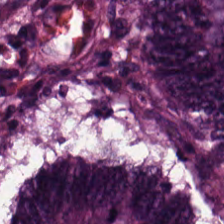Q: What type of tissue is this?
A: It is colorectal adenocarcinoma.
